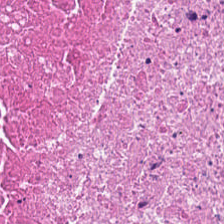H&E-stained tissue section — Tissue type: debris.
